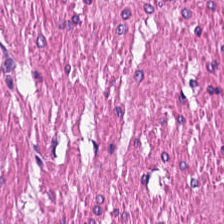FFPE. Hematoxylin-and-eosin stained section. Predominantly smooth muscle.
